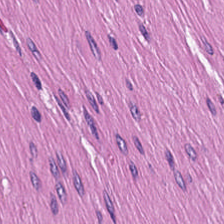H&E-stained tissue section. Classification — smooth-muscle tissue.
